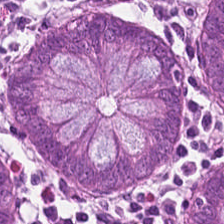Stain: H&E-stained tissue section.
Tissue type: normal colonic mucosa.
